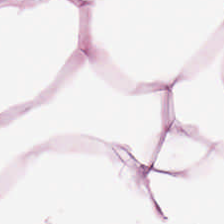Hematoxylin and eosin.
Q: Classify this patch.
A: Adipose.
